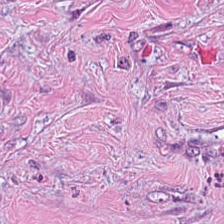H&E-stained tissue section — The tissue here is tumor-associated stroma.
